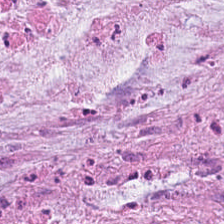H&E. This patch shows mucus.
